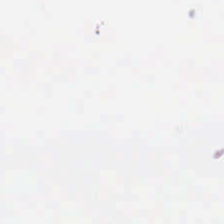0.5 microns per pixel · FFPE · hematoxylin and eosin. Empty background.
